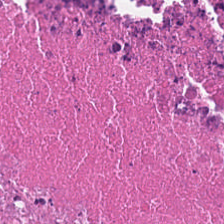Hematoxylin and eosin — Q: Classify this patch.
A: The field shows cellular debris.
